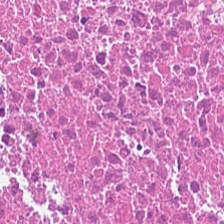{"tissue_type": "cellular debris"}
